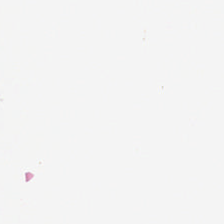No tissue present; background only.
